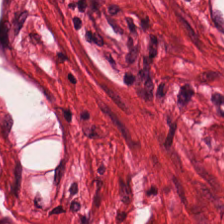H&E-stained tissue section.
Q: What type of tissue is this?
A: Smooth-muscle tissue.
